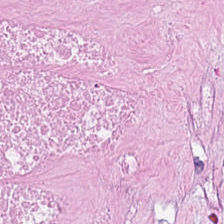0.5 µm/px; H&E-stained tissue section.
Cellular debris.
